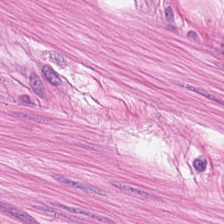The predominant tissue is smooth-muscle tissue.
